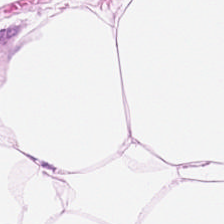H&E stain; FFPE.
Classification — adipose.
